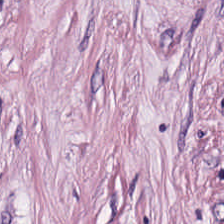Stain: H&E.
Tile size: 224×224 px patch.
Preparation: FFPE tissue section.
Tissue class: tumor-associated stroma.
